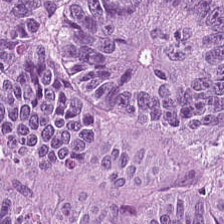H&E-stained tissue section — This field is colorectal adenocarcinoma.
